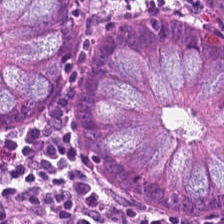Hematoxylin-and-eosin stained section.
Showing normal colonic mucosa.
